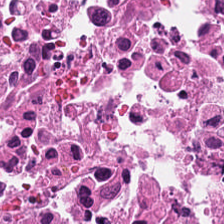Impression — cellular debris.
